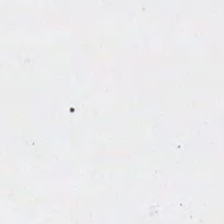Hematoxylin and eosin; WSI patch; FFPE tissue section — Q: What is shown in this field?
A: Background.
